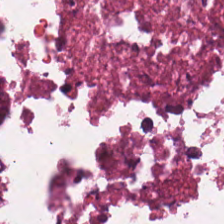Brightfield microscopy · H&E stain — Q: What is shown here?
A: It is debris.
